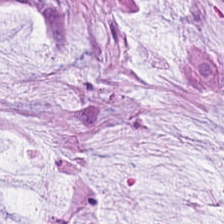{"tissue_type": "mucus"}
